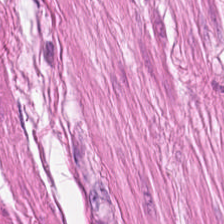H&E · 224×224 px tile.
Predominant tissue = smooth muscle.
